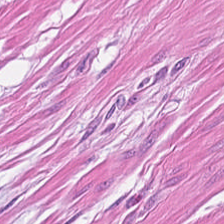Hematoxylin-and-eosin stained section; 0.5 microns per pixel — Tissue class: smooth-muscle tissue.
